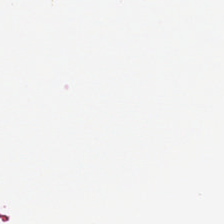Hematoxylin-and-eosin stained section.
Empty field — empty background.
